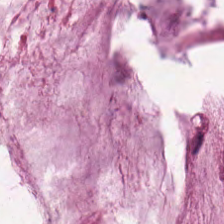Whole-slide-image patch · H&E-stained tissue section.
Predominantly mucus.
